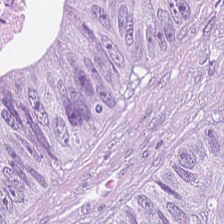H&E stain. This field is colorectal adenocarcinoma.
